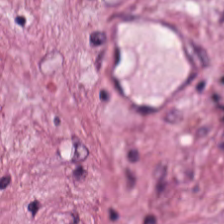Hematoxylin-and-eosin stained section.
This field is tumor-associated stroma.
